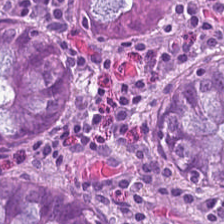20× equivalent magnification; hematoxylin-and-eosin stained section; FFPE — Impression — non-neoplastic colon mucosa.
